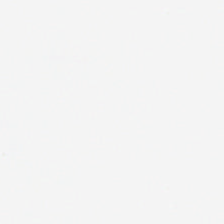Impression → no tissue.
